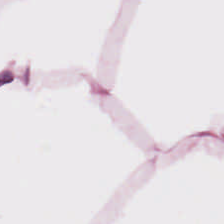Hematoxylin-and-eosin stained section — Adipose tissue.
